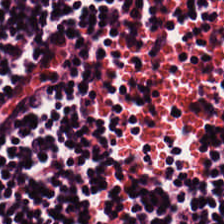Brightfield. H&E-stained tissue section. FFPE tissue section.
Tissue type = lymphocyte aggregate.
